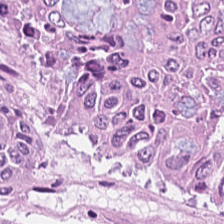Tissue class = malignant epithelium.
